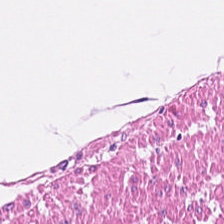Brightfield; 0.5 µm/px; H&E-stained tissue section — {"tissue_type": "muscularis"}
